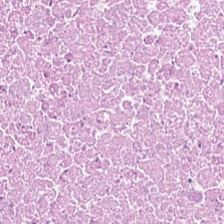Showing debris.
